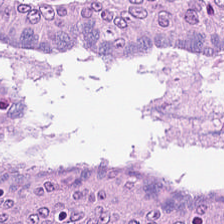H&E stain. 224×224 px patch.
Tissue class: colorectal adenocarcinoma.
